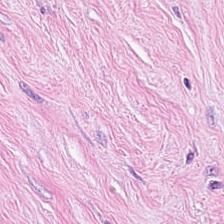Hematoxylin-and-eosin stained section.
Tissue type: desmoplastic stroma.
